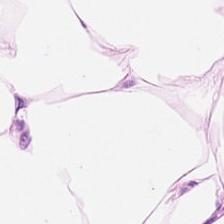0.5 microns per pixel · 224×224 px tile · hematoxylin and eosin. Classification: fat tissue.
